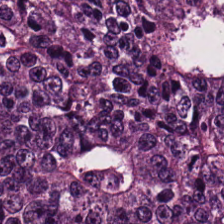WSI patch. H&E stain. Showing colorectal adenocarcinoma epithelium.
